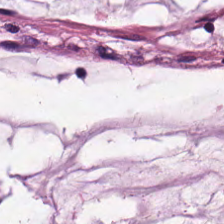Q: What type of tissue is this?
A: Mucin.
